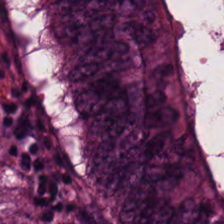H&E stain. The tissue is adenocarcinoma.
